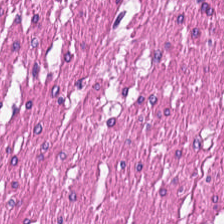Hematoxylin-and-eosin stained section — Smooth-muscle tissue.
